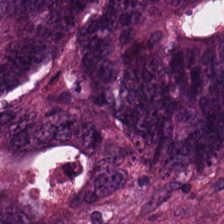H&E — This field is colorectal adenocarcinoma epithelium.
